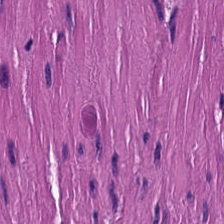H&E stain.
Q: What type of tissue is this?
A: Smooth muscle.
